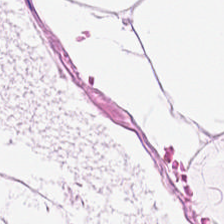H&E stain; 224×224 px tile — Q: What tissue is shown?
A: It is adipose tissue.
